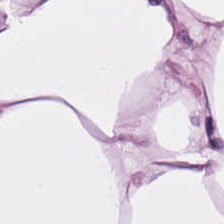Hematoxylin-and-eosin stained section.
The tissue is adipocytes.
